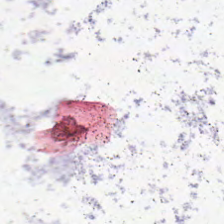H&E-stained tissue section. Q: What is shown in this field?
A: Background.
